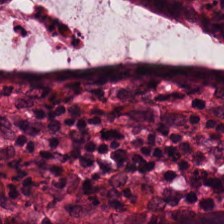Classification: benign colonic mucosa.
